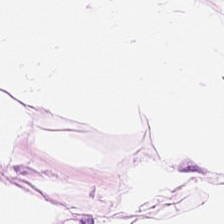H&E stain. This field is fat tissue.
